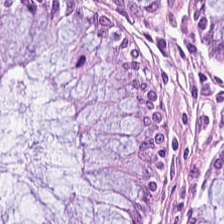Tissue type: non-neoplastic colon mucosa.
